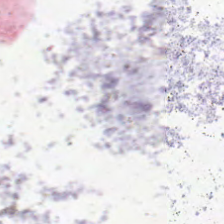Hematoxylin-and-eosin stained section.
Field content — no tissue.
